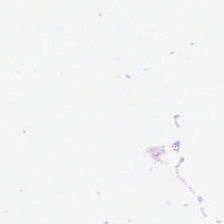Background (no tissue).
